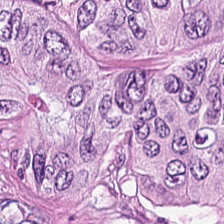20× equivalent magnification · 224×224 pixel tile · hematoxylin-and-eosin stained section.
Predominant tissue: colorectal adenocarcinoma epithelium.
